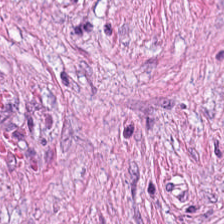Tumor-associated stroma.
